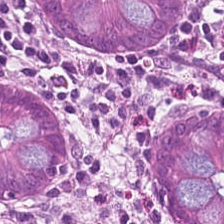Stain: H&E stain.
Tissue type: normal colonic mucosa.
